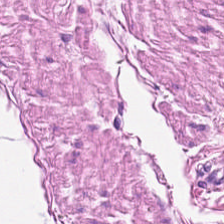Hematoxylin-and-eosin stained section · formalin-fixed paraffin-embedded section. Predominantly smooth muscle.
